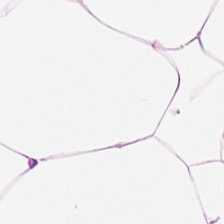H&E stain — {"tissue_type": "adipose"}
